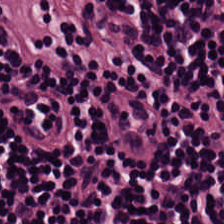Predominant tissue — lymphocytic infiltrate.
